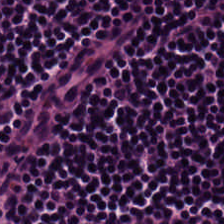H&E stain — This field is lymphocyte aggregate.
